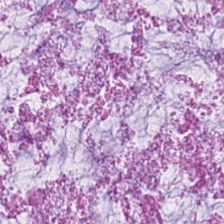Stain: H&E.
Tissue type: mucus.
